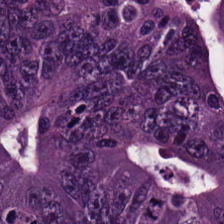Hematoxylin and eosin. Histology — tumor epithelium.
